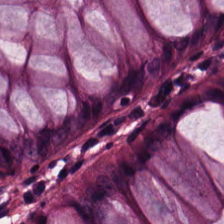H&E. Brightfield microscopy — Q: What is shown in this field?
A: It is normal colon mucosa.
